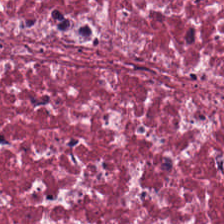224×224 px patch. H&E stain. The tissue here is tumor-associated stroma.
